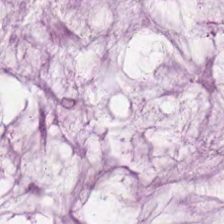H&E stain. Showing mucus.
